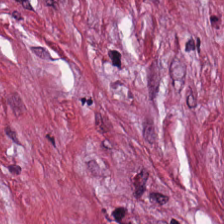Q: What tissue type is shown here?
A: This is desmoplastic stroma.
